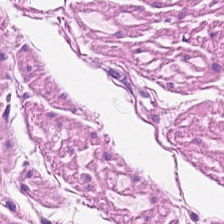Q: What tissue type is shown here?
A: This is smooth-muscle tissue.
